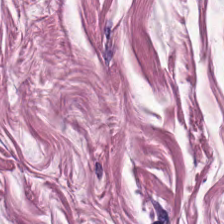H&E stain. 20× equivalent magnification.
Tissue type = smooth muscle.
